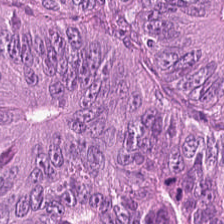Q: What tissue is shown?
A: The field shows malignant epithelium.
